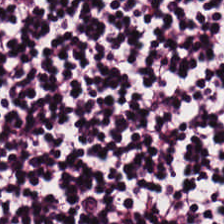Hematoxylin-and-eosin stained section · 224×224 pixel tile. The predominant tissue is lymphocyte aggregate.
